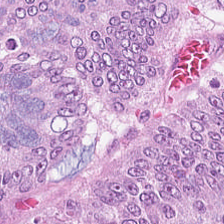H&E-stained section; the field shows malignant epithelium.
